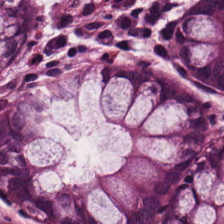H&E-stained tissue section — Non-neoplastic colon mucosa.
